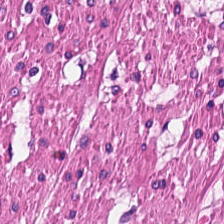H&E patch showing smooth-muscle tissue.
